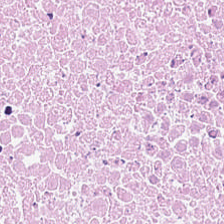H&E-stained tissue section. 0.5 µm per pixel — Cellular debris.
